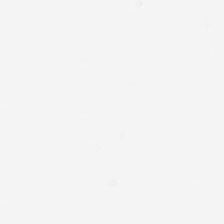H&E-stained tissue section. This field is background (no tissue).
